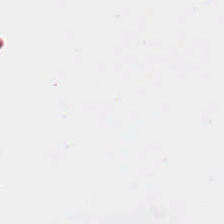This field is background (no tissue).
